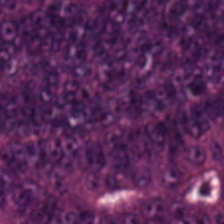H&E-stained tissue section.
Showing colorectal adenocarcinoma.
